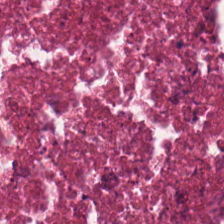Hematoxylin-and-eosin stained section — Tissue class: cellular debris.
